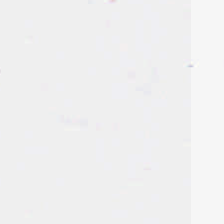H&E · 20× equivalent magnification · 224×224 px patch.
{"content": "empty background"}
